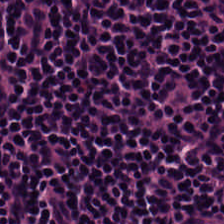Tissue: lymphocytic infiltrate.
